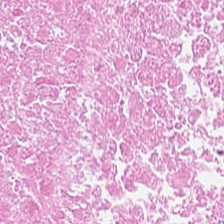Q: What type of tissue is this?
A: The field shows debris.
